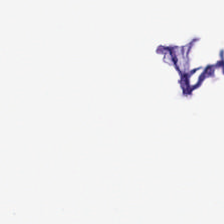Hematoxylin and eosin. Field content — no tissue.
